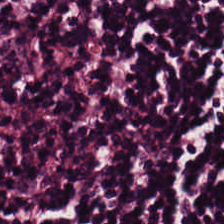Finding — lymphoid infiltrate.
